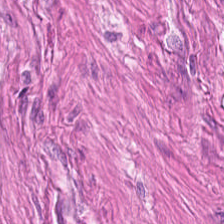Histology — smooth-muscle tissue.
